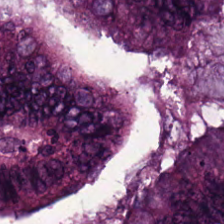H&E-stained tissue section. 224×224 pixel tile. FFPE.
Predominant tissue: tumor epithelium.
